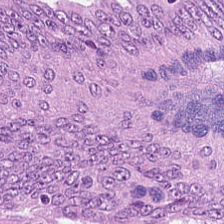Hematoxylin and eosin; FFPE tissue section.
Adenocarcinoma.
